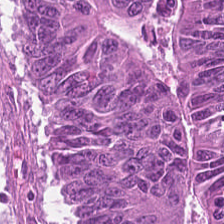H&E. The tissue is colorectal adenocarcinoma.
